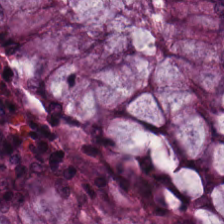Stain: hematoxylin-and-eosin stained section.
Tissue type: benign colonic mucosa.
